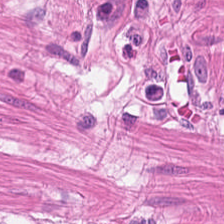0.5 µm/px · 224×224 pixel tile · hematoxylin-and-eosin stained section — Predominant tissue: muscularis.
